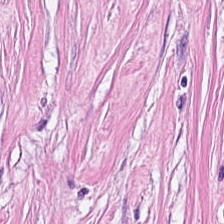H&E · 0.5 µm/px. Q: Identify the tissue.
A: This is desmoplastic stroma.
